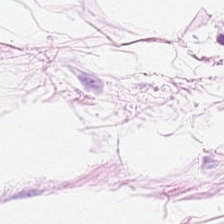{"tissue_type": "adipocytes"}
